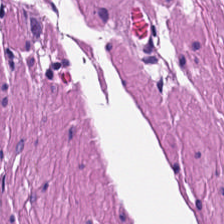Hematoxylin-and-eosin stained section. 224×224 px patch. FFPE — This field is smooth-muscle tissue.
